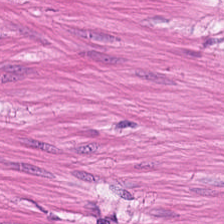Brightfield microscopy; H&E-stained tissue section.
Predominantly smooth-muscle tissue.
